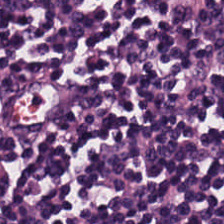Q: What is shown here?
A: Lymphoid infiltrate.
